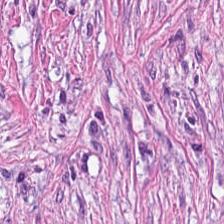Hematoxylin and eosin — The predominant tissue is tumor-associated stroma.
